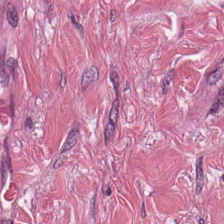224×224 px tile; hematoxylin-and-eosin stained section.
Tissue type = tumor-associated stroma.
